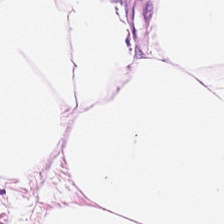Hematoxylin and eosin; 224×224 px tile — Impression — adipose.
